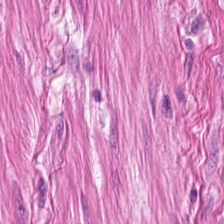Brightfield · hematoxylin-and-eosin stained section. Classification = smooth muscle.
